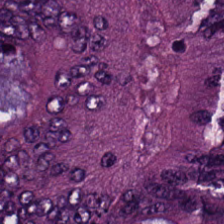Classification = colorectal adenocarcinoma.
